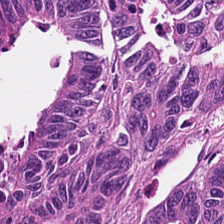H&E-stained tissue section — This field is colorectal adenocarcinoma epithelium.
